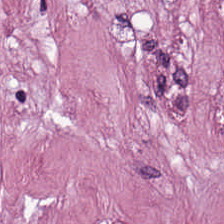224×224 pixel tile; H&E. Impression — desmoplastic stroma.
